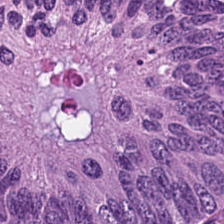Stain: H&E.
Resolution: 0.5 µm per pixel.
Classification: colorectal adenocarcinoma epithelium.
